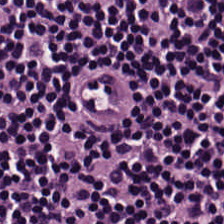{"tissue_type": "lymphocyte aggregate"}
